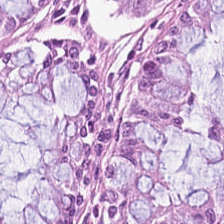This field is normal colonic mucosa.
